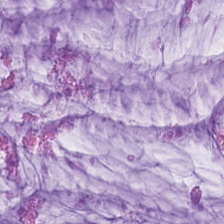Tissue class = extracellular mucin.
